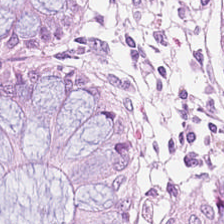The classification is non-neoplastic colon mucosa.
